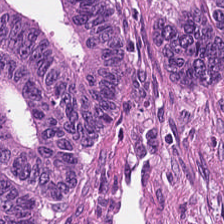H&E. This patch shows tumor epithelium.
